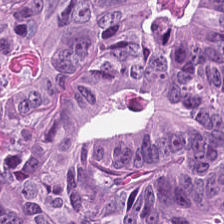H&E stain — Impression → adenocarcinoma.
